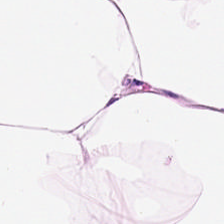H&E.
Q: What is the predominant tissue type?
A: Fat tissue.
